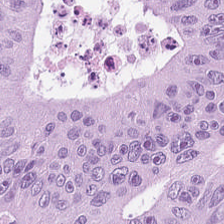H&E-stained tissue section. Adenocarcinoma.
